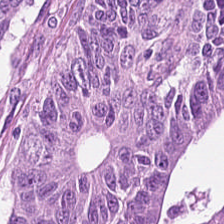H&E stain. The predominant tissue is colorectal adenocarcinoma.
